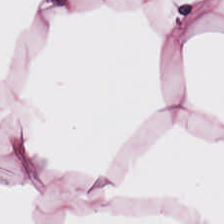Stain: hematoxylin-and-eosin stained section.
Resolution: 0.5 µm/px.
Tile size: 224×224 pixel tile.
Tissue type: adipose.
